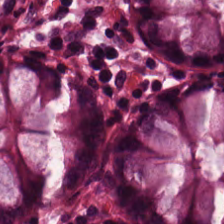Q: What is shown here?
A: Normal colonic mucosa.
